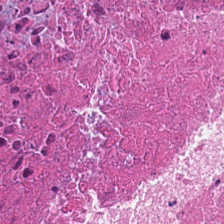H&E.
{"tissue_type": "cellular debris"}
